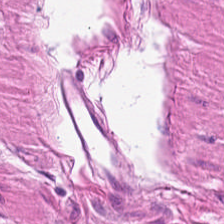0.5 microns per pixel; H&E-stained tissue section. Tissue: muscularis.
